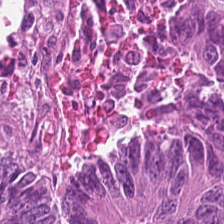H&E — colorectal adenocarcinoma epithelium.
